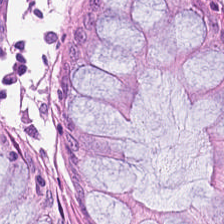Hematoxylin-and-eosin stained section. Normal colon mucosa.
